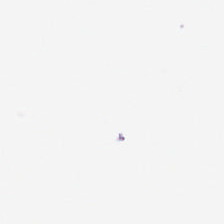224×224 px patch · hematoxylin-and-eosin stained section · FFPE tissue section. Content: background (no tissue).
